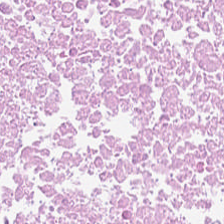Q: What is the predominant tissue type?
A: This is necrotic debris.
